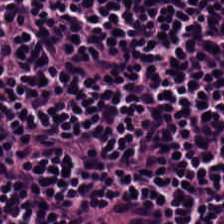Predominant tissue = lymphocytic infiltrate.
